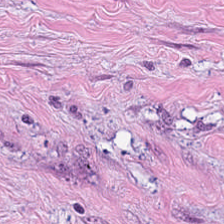Stain: H&E-stained tissue section.
Tissue: cancer-associated stroma.
